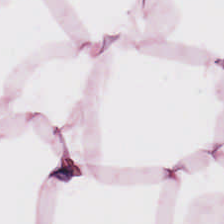H&E stain. Predominantly adipose tissue.
